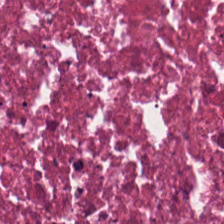Tissue = necrotic debris.
